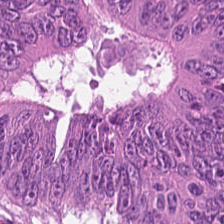H&E patch showing colorectal adenocarcinoma epithelium.
